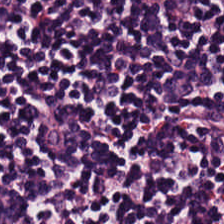WSI patch; H&E-stained tissue section — {"tissue_type": "lymphocytes"}
